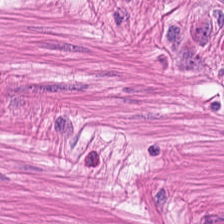H&E stain. Tissue class — smooth-muscle tissue.
